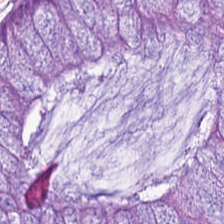Hematoxylin and eosin. Predominantly benign colonic mucosa.
